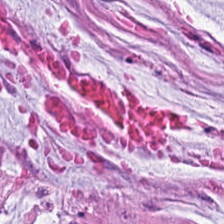H&E.
Tissue type: mucus.
